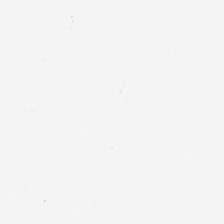Content — empty background.
